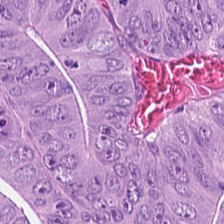Hematoxylin-and-eosin stained section · FFPE tissue section. The predominant tissue is colorectal adenocarcinoma epithelium.
